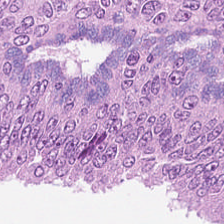H&E-stained section; the field shows tumor epithelium.
